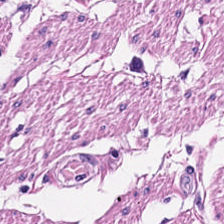Impression → smooth muscle.
